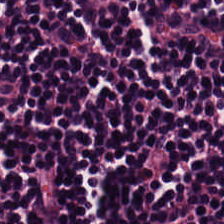Hematoxylin and eosin. 20× equivalent magnification — This patch shows lymphocytic infiltrate.
